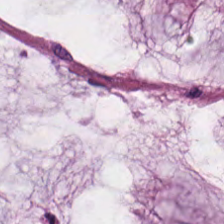H&E stain — Mucus.
